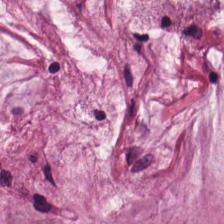Hematoxylin-and-eosin stained section. Whole-slide-image patch. 0.5 µm/px.
Showing mucus.
